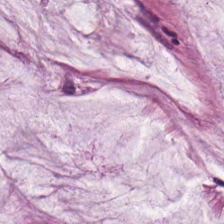Q: What type of tissue is this?
A: Mucus.
